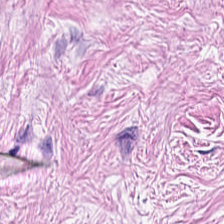Hematoxylin-and-eosin stained section — Q: Identify the tissue.
A: The field shows desmoplastic stroma.
